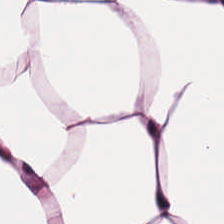Q: What does this patch show?
A: It is adipocytes.
